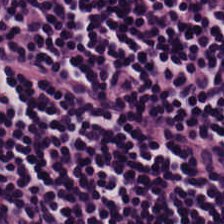WSI patch; hematoxylin and eosin.
This field is lymphoid infiltrate.
